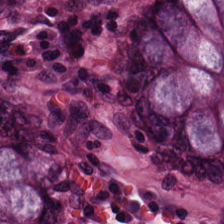Stain: hematoxylin and eosin.
Tile size: 224×224 px patch.
Resolution: 0.5 µm/px.
Classification: normal colonic mucosa.
